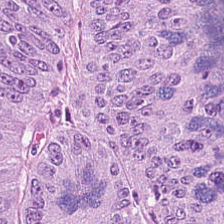224×224 pixel tile. H&E-stained tissue section.
Predominant tissue = tumor epithelium.
